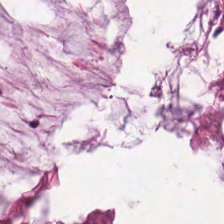H&E-stained tissue section. Brightfield microscopy — Impression — mucin.
